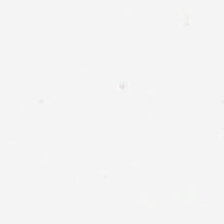FFPE tissue section · H&E. Content: no tissue.
